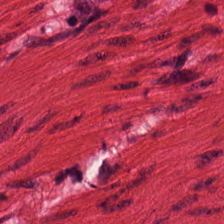Hematoxylin-and-eosin stained section. 224×224 px patch. 20× equivalent magnification — This field is smooth muscle.
